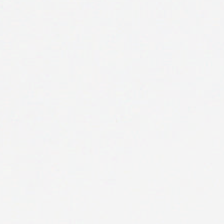224×224 px tile · FFPE · H&E stain. Content = background.
